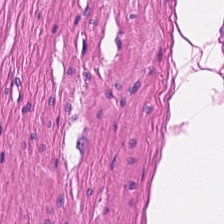Hematoxylin-and-eosin stained section.
This field is smooth-muscle tissue.
